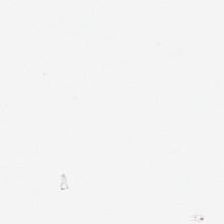Hematoxylin-and-eosin stained section · brightfield microscopy · FFPE.
Field content: no tissue.
